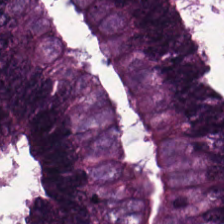Hematoxylin and eosin — Q: What is shown here?
A: This is colorectal adenocarcinoma epithelium.
